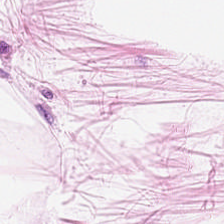Classification — adipose.
